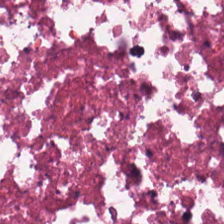Brightfield. H&E stain. Formalin-fixed paraffin-embedded section — Predominantly necrotic debris.
